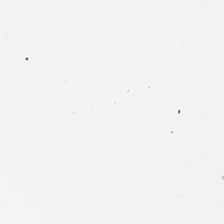FFPE tissue section · hematoxylin and eosin · whole-slide-image patch — Background — no tissue in this field.
